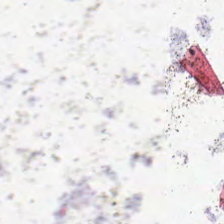H&E. This field is background (no tissue).
